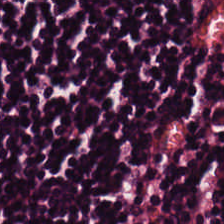{"tissue_type": "lymphocytes"}
